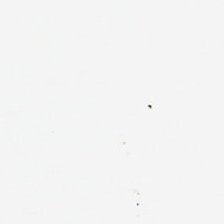H&E. Field content = empty background.
